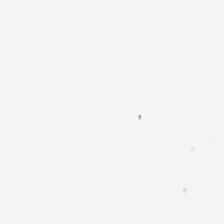H&E — Empty background.
